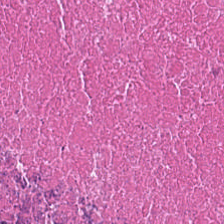224×224 px patch; hematoxylin-and-eosin stained section.
The tissue class is debris.
